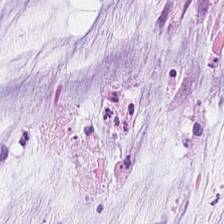Hematoxylin-and-eosin stained section.
Q: What is shown in this field?
A: This is mucin.
